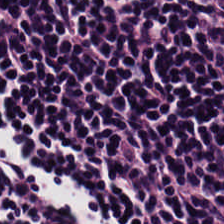Stain: H&E stain.
Preparation: formalin-fixed paraffin-embedded section.
Acquisition: WSI patch.
Tissue type: lymphoid infiltrate.
